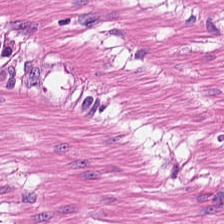Stain: H&E stain.
Acquisition: WSI patch.
Preparation: FFPE.
Predominant tissue: smooth muscle.
